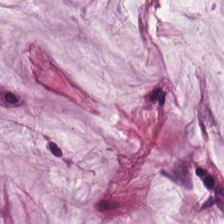Histology — mucin.
